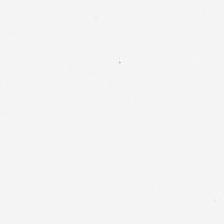Stain: H&E.
Content: empty background.
